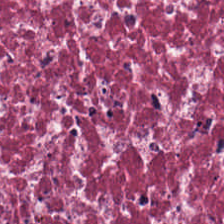Stain: hematoxylin and eosin.
Classification: desmoplastic stroma.
